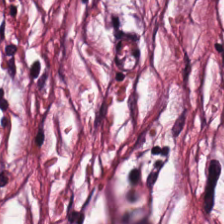H&E-stained tissue section. Impression — tumor-associated stroma.
